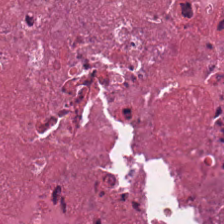Hematoxylin and eosin. This patch shows debris.
